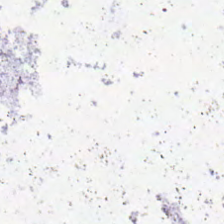Hematoxylin-and-eosin stained section. Q: What is shown in this field?
A: The field shows background.
